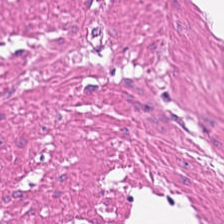H&E. This patch shows smooth muscle.
